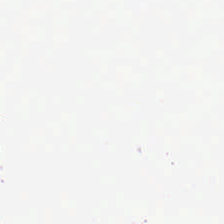224×224 px patch; H&E; 0.5 µm per pixel. Empty field — empty background.
